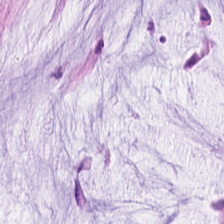H&E — mucus.
